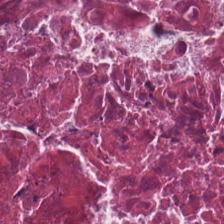H&E-stained tissue section — This field is cellular debris.
